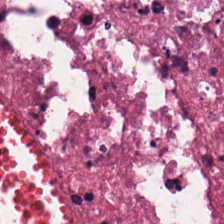H&E-stained tissue section · WSI patch.
Q: What tissue type is shown here?
A: This is cellular debris.
